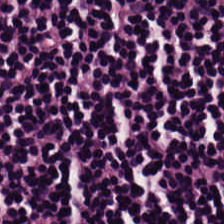H&E. FFPE tissue section. 0.5 µm per pixel.
The tissue type is lymphoid infiltrate.
